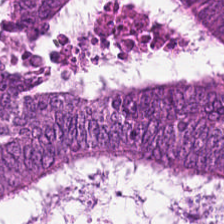Hematoxylin-and-eosin section: malignant epithelium.
